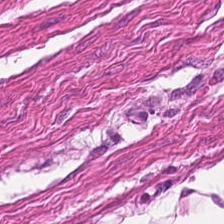H&E stain. {"tissue_type": "smooth muscle"}
